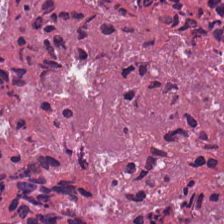Hematoxylin-and-eosin stained section. Q: What is the predominant tissue type?
A: The field shows cellular debris.
